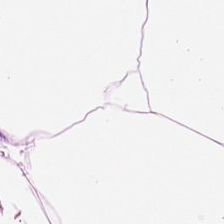224×224 pixel tile. 20× equivalent magnification. Hematoxylin and eosin.
This patch shows adipocytes.
